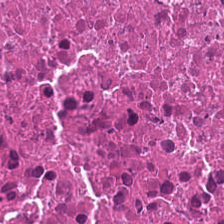Hematoxylin and eosin.
Histology — debris.
